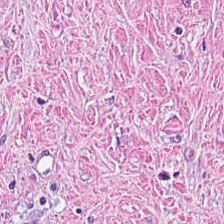Hematoxylin-and-eosin stained section — Q: What does this patch show?
A: This is desmoplastic stroma.
